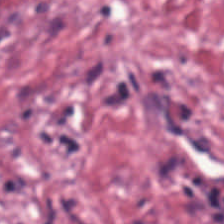Stain: H&E-stained tissue section.
Tile size: 224×224 px patch.
Tissue class: tumor stroma.
